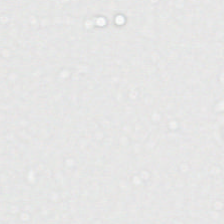Classification — background.
